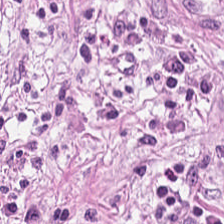FFPE; 0.5 µm/px; hematoxylin-and-eosin stained section.
The tissue here is cancer-associated stroma.
